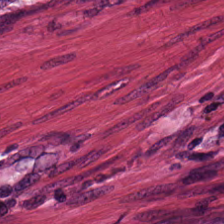Hematoxylin-and-eosin stained section.
This field is tumor-associated stroma.
